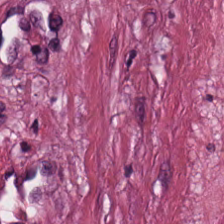Hematoxylin-and-eosin stained section.
Tissue type: tumor stroma.
